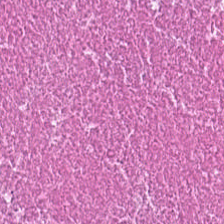Hematoxylin and eosin — The tissue type is cellular debris.
